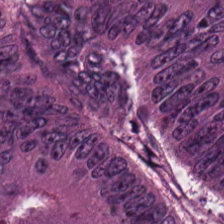Q: What type of tissue is this?
A: It is adenocarcinoma.
